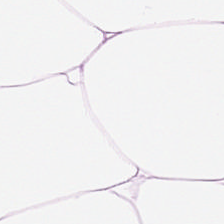Predominantly adipose.
